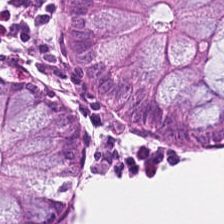Tissue class = non-neoplastic colon mucosa.
